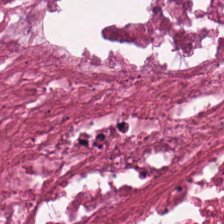Stain: H&E stain.
Tissue: cellular debris.
